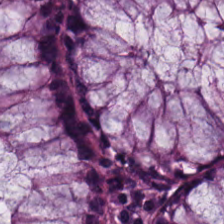H&E stain. Formalin-fixed paraffin-embedded section.
Classification = normal colonic mucosa.
